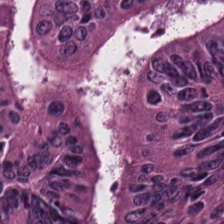Hematoxylin and eosin. The tissue class is colorectal adenocarcinoma epithelium.
